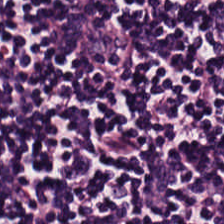Formalin-fixed paraffin-embedded section · hematoxylin and eosin.
{"tissue_type": "lymphocytes"}
